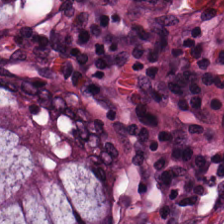20× equivalent magnification. Hematoxylin-and-eosin stained section. Showing normal colon mucosa.
